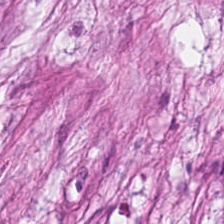Hematoxylin-and-eosin stained section. Whole-slide-image patch. 224×224 px tile. Q: What type of tissue is this?
A: The field shows tumor-associated stroma.
